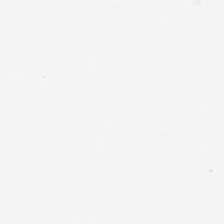Background (no tissue).
